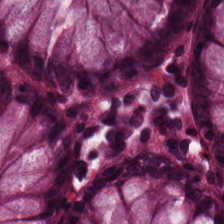H&E patch showing benign colonic mucosa.
